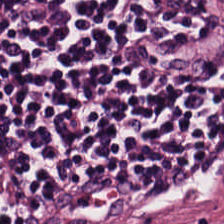FFPE tissue section; WSI patch; hematoxylin and eosin — Q: What tissue type is shown here?
A: The field shows lymphocytic infiltrate.
